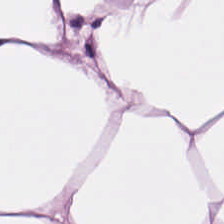H&E stain; whole-slide-image patch — Showing adipose tissue.
